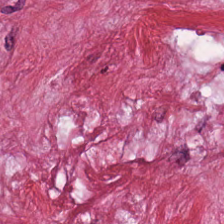0.5 microns per pixel; H&E-stained tissue section.
Impression — tumor-associated stroma.
